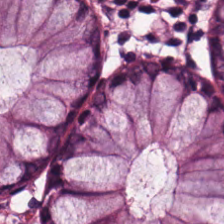H&E stain — Q: What is shown in this field?
A: The field shows normal colonic mucosa.
